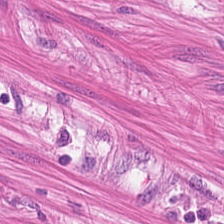Hematoxylin and eosin; 0.5 µm per pixel; 224×224 pixel tile — Impression → smooth muscle.
